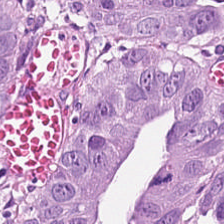Stain: H&E.
Tissue type: tumor epithelium.
